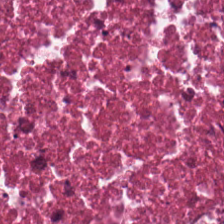The classification is necrotic debris.
